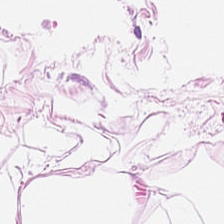20× equivalent magnification · H&E-stained tissue section · FFPE.
Showing adipose.
